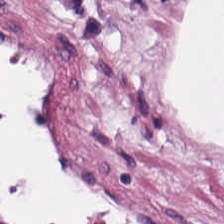H&E-stained tissue section — Predominantly adipose tissue.
